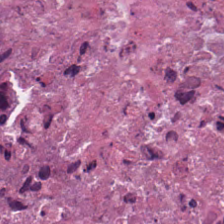The tissue here is debris.
